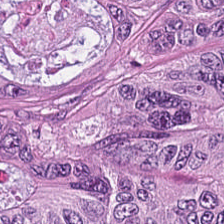H&E stain.
Predominantly colorectal adenocarcinoma.
